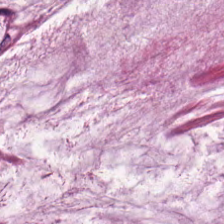Hematoxylin-and-eosin stained section.
Q: What type of tissue is this?
A: Mucus.
